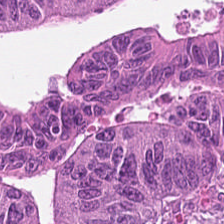Hematoxylin-and-eosin stained section.
This patch shows colorectal adenocarcinoma.
